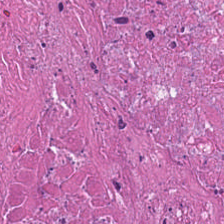Hematoxylin-and-eosin stained section. Predominantly cellular debris.
